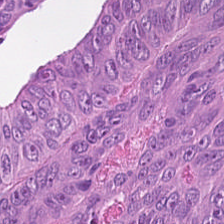H&E stain.
The predominant tissue is colorectal adenocarcinoma.
